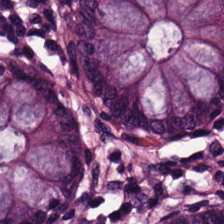H&E-stained tissue section · WSI patch · 224×224 pixel tile.
The predominant tissue is normal colonic mucosa.
